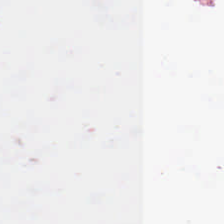Classification = no tissue.
